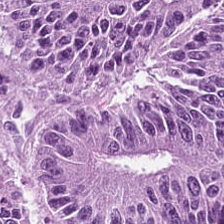H&E stain · 20× equivalent magnification · formalin-fixed paraffin-embedded section.
The tissue type is malignant epithelium.
